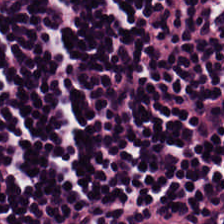Hematoxylin and eosin. Histology — lymphocytes.
